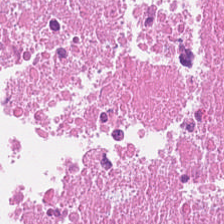Hematoxylin and eosin · 224×224 pixel tile · whole-slide-image patch — Impression — cellular debris.
